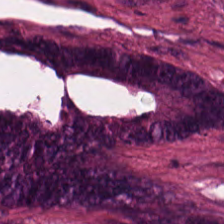0.5 microns per pixel · hematoxylin-and-eosin stained section.
The tissue is colorectal adenocarcinoma.
